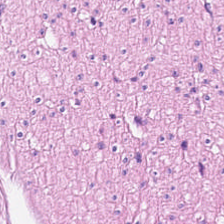H&E patch showing smooth-muscle tissue.
